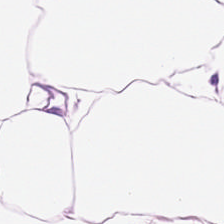H&E. Q: What is shown here?
A: This is adipocytes.
